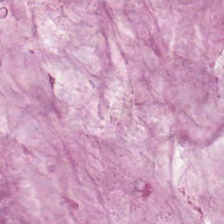224×224 px tile · H&E-stained tissue section — This field is mucin.
